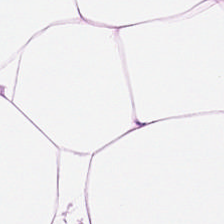224×224 px patch · hematoxylin and eosin · 0.5 µm/px. {"tissue_type": "adipose tissue"}
